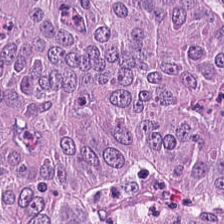Hematoxylin-and-eosin stained section · 20× equivalent magnification.
Q: What is the predominant tissue type?
A: This is colorectal adenocarcinoma.
